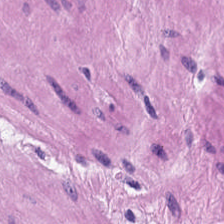FFPE; hematoxylin and eosin. Finding → muscularis.
